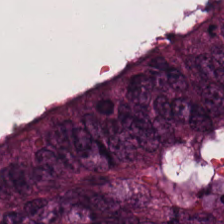Hematoxylin and eosin; 0.5 µm/px. Classification = colorectal adenocarcinoma.
